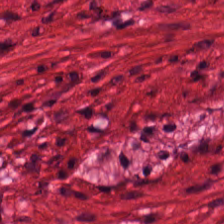H&E stain. Tissue type — muscularis.
